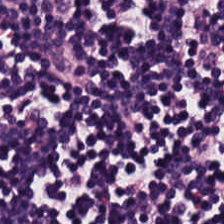H&E-stained tissue section.
Predominant tissue = lymphocytes.
